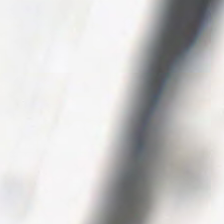H&E-stained tissue section — {"content": "background (no tissue)"}
